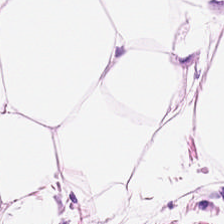Brightfield. H&E stain. FFPE. {"tissue_type": "fat tissue"}
